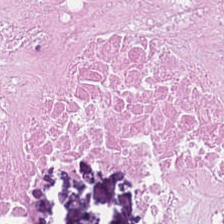Hematoxylin and eosin. This field is debris.
